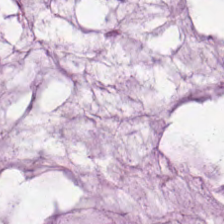Stain: hematoxylin-and-eosin stained section.
Tissue type: mucus.
